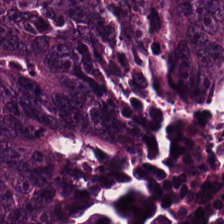Stain: H&E.
Tissue class: colorectal adenocarcinoma.
